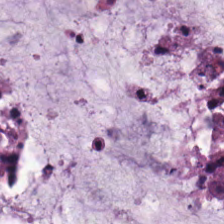H&E — mucus.
